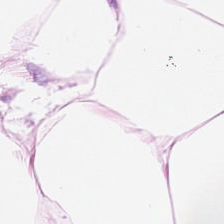H&E stain.
Tissue = adipose tissue.
